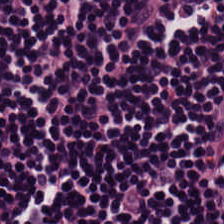H&E stain · brightfield · FFPE tissue section. This field is lymphocyte aggregate.
